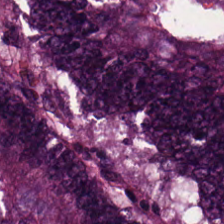H&E-stained tissue section. Impression → malignant epithelium.
